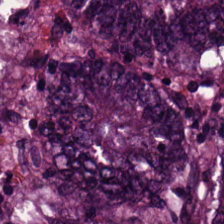H&E.
Impression — malignant epithelium.
